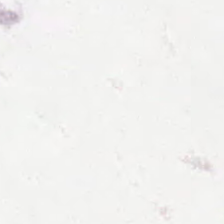FFPE · H&E · 0.5 µm/px — This patch shows empty background.
